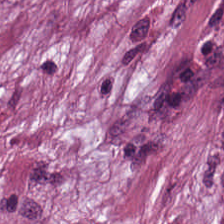Stain: H&E.
Predominant tissue: tumor stroma.
